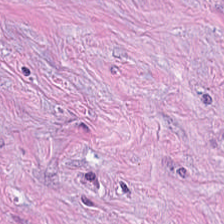0.5 µm per pixel · 224×224 px tile · hematoxylin-and-eosin stained section — Histology — desmoplastic stroma.
